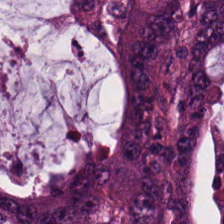H&E. FFPE tissue section — Predominantly adenocarcinoma.
